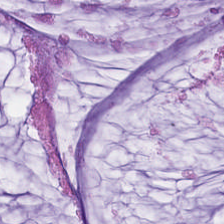Stain: H&E-stained tissue section.
Tissue class: mucus.
